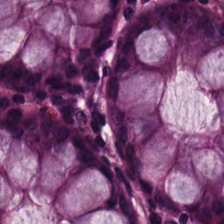WSI patch · H&E stain · 0.5 µm per pixel.
The tissue here is normal colonic mucosa.
